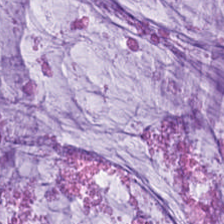H&E-stained tissue section.
This patch shows mucus.
